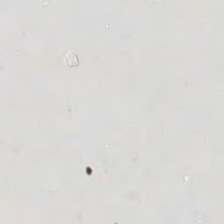Hematoxylin-and-eosin stained section. Background — no tissue in this field.
